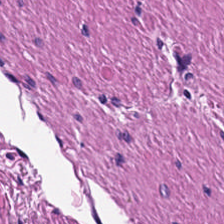Predominant tissue — muscularis.
